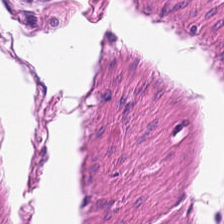WSI patch. H&E. 224×224 px patch — This field is muscularis.
